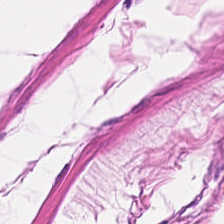Stain: H&E.
Classification: smooth muscle.
